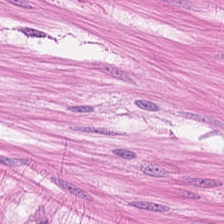224×224 px patch · H&E — This field is muscularis.
